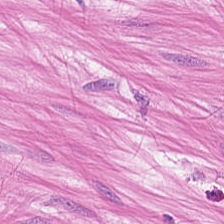The tissue type is smooth-muscle tissue.
